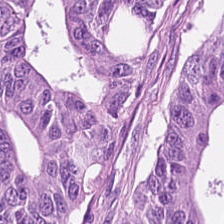H&E stain. FFPE — Showing colorectal adenocarcinoma epithelium.
